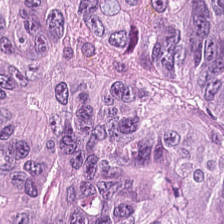Classification: malignant epithelium.
